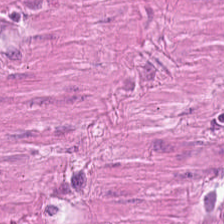0.5 microns per pixel. Hematoxylin-and-eosin stained section. The tissue class is smooth muscle.
